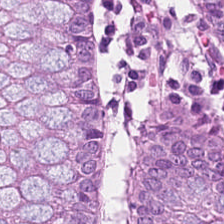Finding → non-neoplastic colon mucosa.
